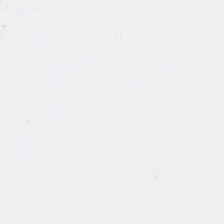Hematoxylin-and-eosin stained section · 224×224 pixel tile. This patch shows no tissue.
